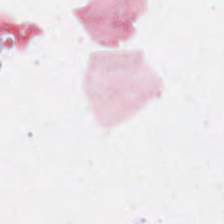Classification = no tissue.
